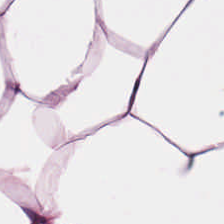Hematoxylin-and-eosin section: adipocytes.
